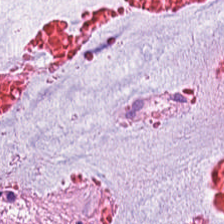Stain: H&E.
Tile size: 224×224 px patch.
Classification: mucin.
